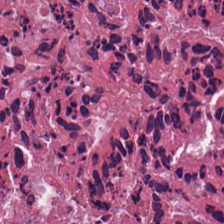H&E stain.
Tissue class — cellular debris.
